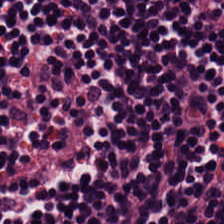H&E stain.
The tissue here is lymphocytes.
